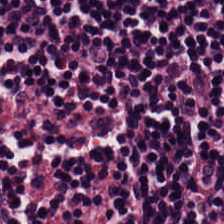H&E. The classification is lymphocytic infiltrate.
